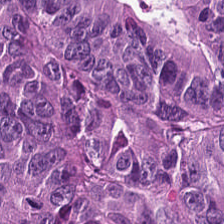Stain: H&E.
Tile size: 224×224 pixel tile.
Acquisition: brightfield microscopy.
Predominant tissue: malignant epithelium.
